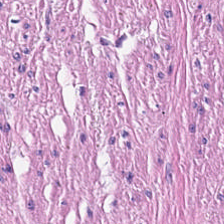Tissue class — smooth muscle.
